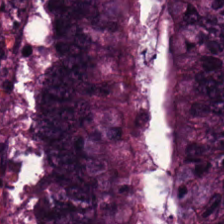Tissue type = malignant epithelium.
